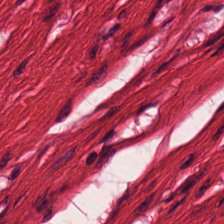The tissue type is muscularis.
